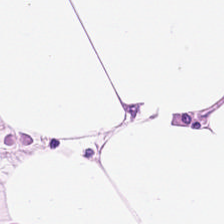Hematoxylin-and-eosin stained section. {"tissue_type": "adipose"}
